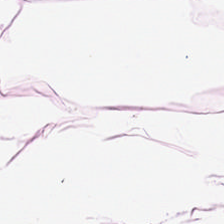0.5 µm per pixel; H&E; formalin-fixed paraffin-embedded section — Predominant tissue: adipose tissue.
